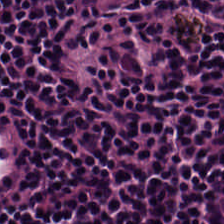H&E — lymphocytic infiltrate.
